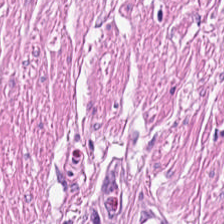Stain: hematoxylin and eosin.
Tile size: 224×224 px patch.
Resolution: 0.5 µm/px.
Tissue class: smooth muscle.
